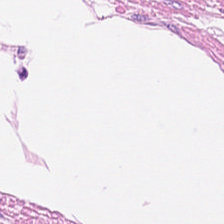224×224 px tile; H&E-stained tissue section — Muscularis.
